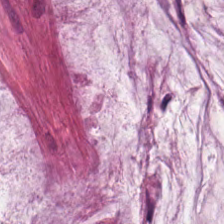This patch shows mucin.
